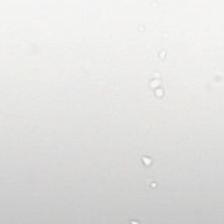H&E.
Classification = background (no tissue).
